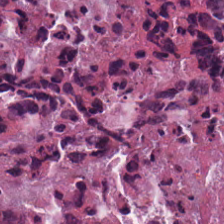H&E stain. The tissue here is necrotic debris.
